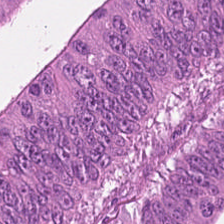H&E-stained tissue section — Tissue type: colorectal adenocarcinoma epithelium.
